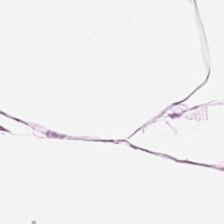H&E stain; 224×224 px tile. The tissue here is adipocytes.
